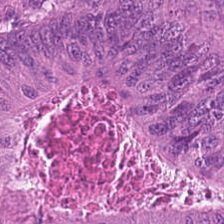Hematoxylin-and-eosin stained section. 0.5 µm/px. Brightfield microscopy — Tissue type: colorectal adenocarcinoma epithelium.
